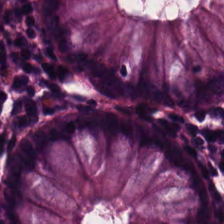Formalin-fixed paraffin-embedded section · brightfield microscopy · H&E-stained tissue section.
Non-neoplastic colon mucosa.
